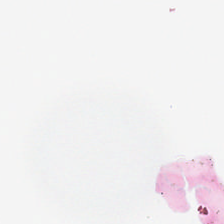224×224 pixel tile. Formalin-fixed paraffin-embedded section. Hematoxylin-and-eosin stained section — Empty field — empty background.
